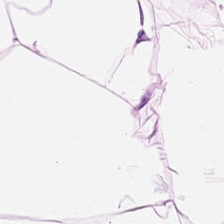H&E stain.
Q: What does this patch show?
A: It is adipose.
